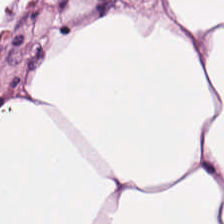H&E-stained tissue section.
Q: What does this patch show?
A: It is adipose.
